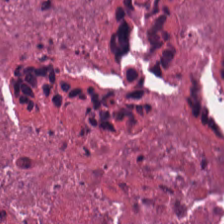H&E. Tissue — debris.
